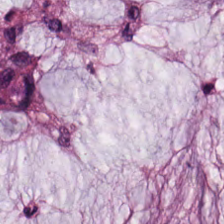H&E stain.
The tissue here is extracellular mucin.
